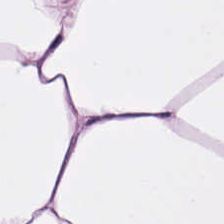Hematoxylin-and-eosin stained section. This patch shows fat tissue.
